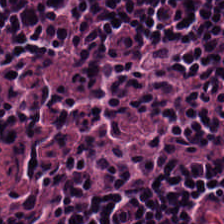224×224 px tile · H&E stain — Tissue: lymphoid infiltrate.
